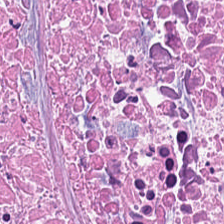The tissue here is cellular debris.
